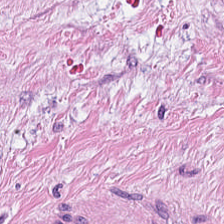H&E-stained tissue section. Showing tumor-associated stroma.
